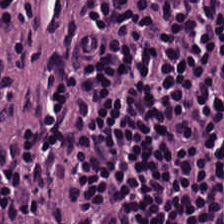Q: Identify the tissue.
A: It is lymphoid infiltrate.
